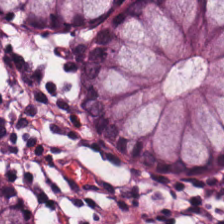Q: Identify the tissue.
A: Non-neoplastic colon mucosa.
